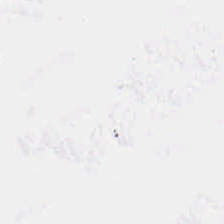Field content = background.
